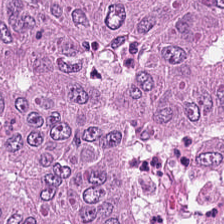Brightfield microscopy; H&E stain.
{"tissue_type": "colorectal adenocarcinoma epithelium"}
